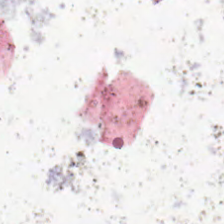H&E stain — Q: Classify this patch.
A: The field shows background.
